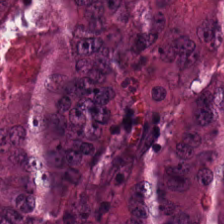Formalin-fixed paraffin-embedded section · 20× equivalent magnification · H&E-stained tissue section.
Q: What does this patch show?
A: The field shows malignant epithelium.
